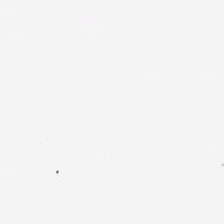H&E-stained tissue section. Background (no tissue).
